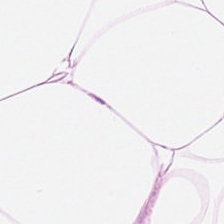Hematoxylin-and-eosin section: fat tissue.
